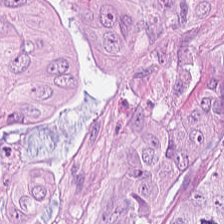H&E stain. 224×224 pixel tile. The classification is colorectal adenocarcinoma epithelium.
